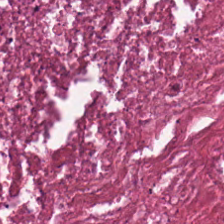H&E stain; FFPE; brightfield.
Predominantly debris.
